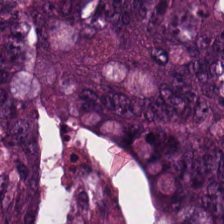Hematoxylin-and-eosin stained section.
This field is tumor epithelium.
